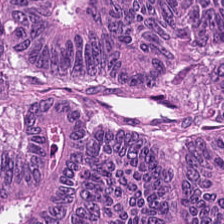Formalin-fixed paraffin-embedded section · hematoxylin and eosin — Tissue type = malignant epithelium.
